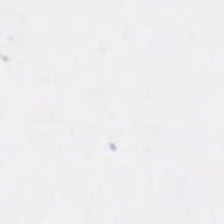Stain: H&E.
Acquisition: brightfield microscopy.
Resolution: 0.5 µm/px.
Field content: background (no tissue).
